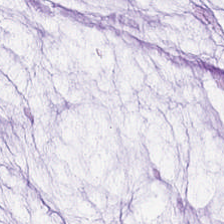Hematoxylin-and-eosin stained section — The predominant tissue is mucus.
